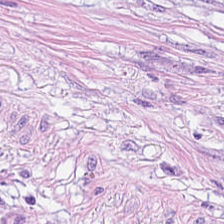H&E — mucin.
